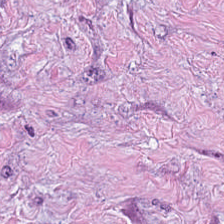Hematoxylin and eosin. Predominantly cancer-associated stroma.
